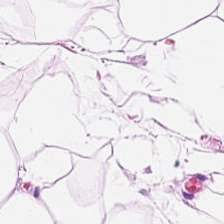H&E stain — Showing fat tissue.
